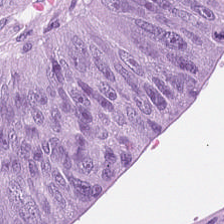H&E stain. This field is tumor epithelium.
